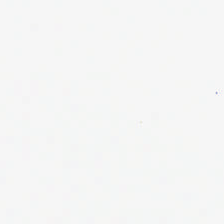Hematoxylin and eosin — Histology → background.
